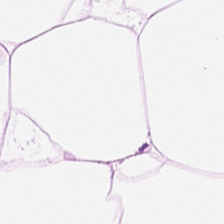Stain: hematoxylin-and-eosin stained section.
Tile size: 224×224 px tile.
Preparation: FFPE.
Classification: adipocytes.
